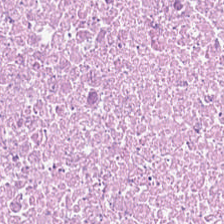The predominant tissue is cellular debris.
